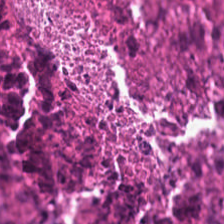0.5 µm/px. 224×224 px patch. H&E — Debris.
